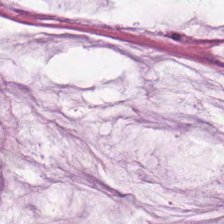H&E-stained tissue section.
Q: Classify this patch.
A: The field shows mucin.
